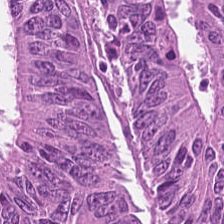224×224 px patch · H&E-stained tissue section.
The tissue here is malignant epithelium.
